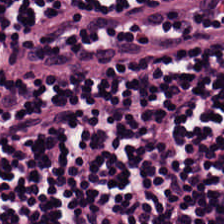Stain: H&E.
Predominant tissue: lymphocyte aggregate.
